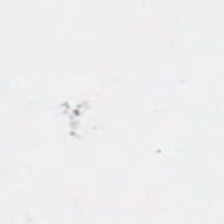Stain: H&E-stained tissue section.
Classification: background.
